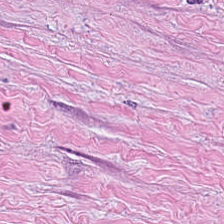Stain: H&E-stained tissue section.
Classification: tumor-associated stroma.
